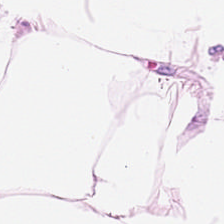H&E — Classification = adipose tissue.
